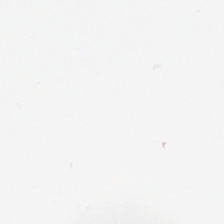20× equivalent magnification · H&E-stained tissue section. Field content: no tissue.
